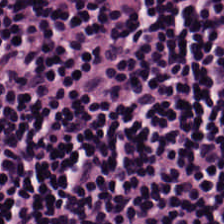Hematoxylin and eosin. Showing lymphocytes.
